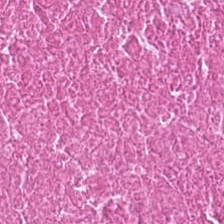H&E-stained tissue section. This patch shows debris.
